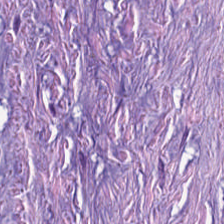Stain: hematoxylin-and-eosin stained section.
Resolution: 0.5 µm per pixel.
Classification: tumor stroma.
